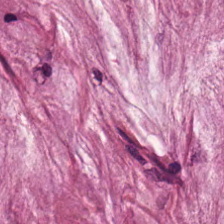H&E — extracellular mucin.
